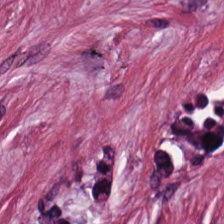Hematoxylin-and-eosin stained section. Predominantly desmoplastic stroma.
